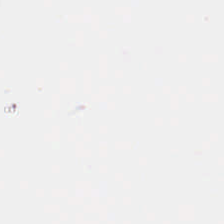224×224 px patch; H&E-stained tissue section — This patch shows background (no tissue).
